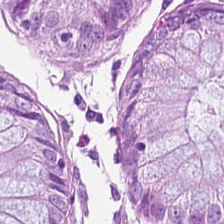Q: What type of tissue is this?
A: It is non-neoplastic colon mucosa.
